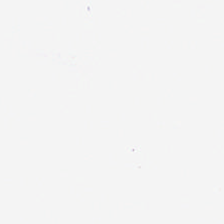Hematoxylin and eosin. The content is background.
